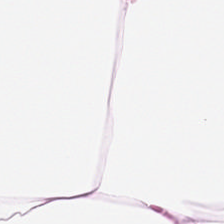This patch shows fat tissue.
